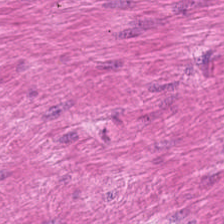H&E-stained tissue section. Q: Identify the tissue.
A: This is smooth muscle.
